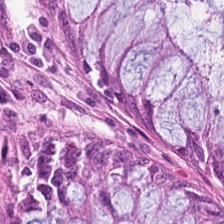H&E — Q: Classify this patch.
A: Normal colon mucosa.
